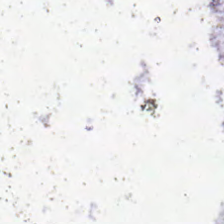Formalin-fixed paraffin-embedded section. H&E-stained tissue section.
Background — no tissue in this field.
